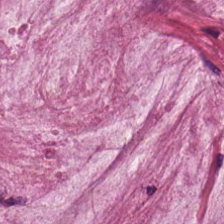This field is mucus.
